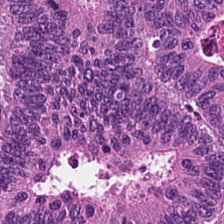H&E stain · 0.5 µm per pixel — {"tissue_type": "colorectal adenocarcinoma epithelium"}
